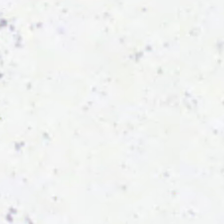Hematoxylin-and-eosin stained section — Histology → empty background.
